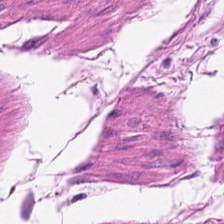Q: Identify the tissue.
A: The field shows smooth muscle.
